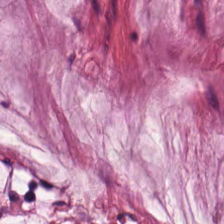Formalin-fixed paraffin-embedded section. H&E stain.
Mucin.
